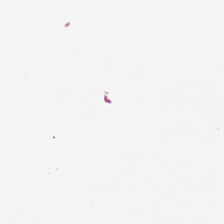Hematoxylin-and-eosin stained section. Background — no tissue in this field.
